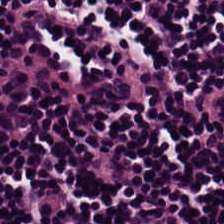Hematoxylin and eosin.
Predominant tissue = lymphoid infiltrate.
